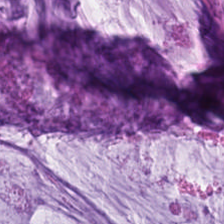Brightfield microscopy; hematoxylin-and-eosin stained section; 224×224 px tile. This patch shows mucin.
